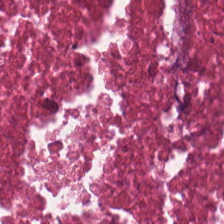Hematoxylin-and-eosin stained section — Q: What does this patch show?
A: Debris.
